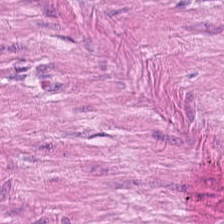Stain: hematoxylin-and-eosin stained section.
Predominant tissue: smooth muscle.
